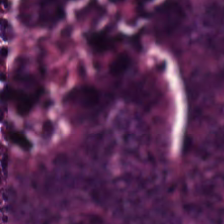Q: What tissue type is shown here?
A: It is adenocarcinoma.
